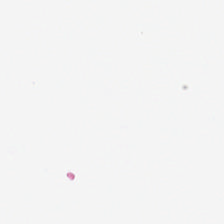H&E stain — Empty field — no tissue.
